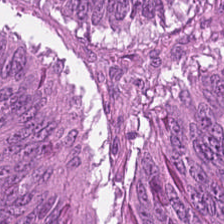H&E stain; 224×224 px tile; brightfield microscopy. The classification is malignant epithelium.
